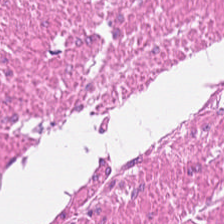The tissue here is muscularis.
